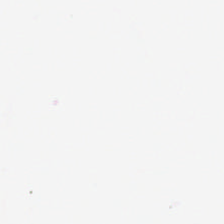FFPE tissue section. H&E-stained tissue section. This patch shows no tissue.
